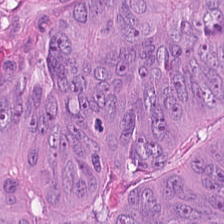{"tissue_type": "tumor epithelium"}
